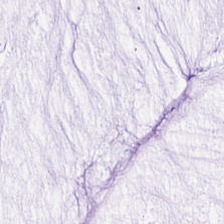Stain: H&E.
Resolution: 20× equivalent magnification.
Tissue type: mucus.
